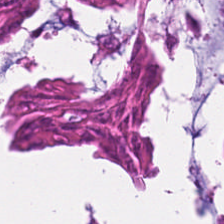Tissue: colorectal adenocarcinoma epithelium.
